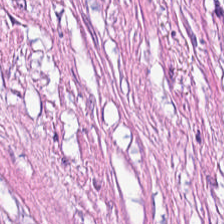H&E stain.
Q: What tissue type is shown here?
A: The field shows tumor stroma.
